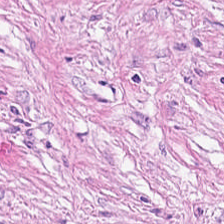H&E-stained tissue section — Q: What is the predominant tissue type?
A: It is desmoplastic stroma.
